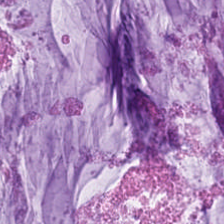This patch shows mucin.
